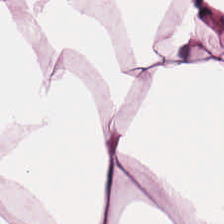H&E stain · FFPE — This patch shows fat tissue.
